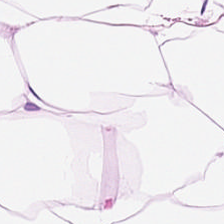H&E stain.
This field is fat tissue.
